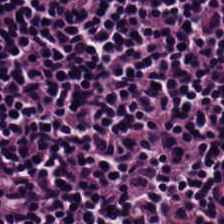H&E.
Impression → lymphocytes.
